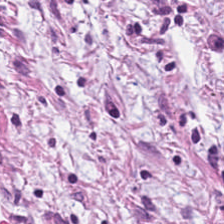Stain: H&E-stained tissue section.
Predominant tissue: cancer-associated stroma.
